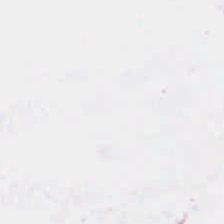This patch shows empty background.
